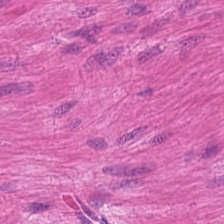224×224 px tile · H&E-stained tissue section · FFPE. Histology → muscularis.
